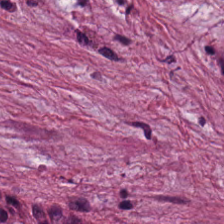Hematoxylin and eosin.
Tissue class = desmoplastic stroma.
